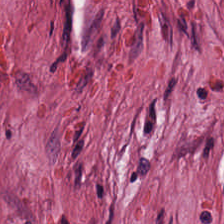H&E stain — Q: Identify the tissue.
A: Cancer-associated stroma.
